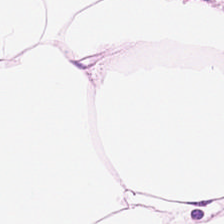Hematoxylin-and-eosin stained section — {"tissue_type": "fat tissue"}
